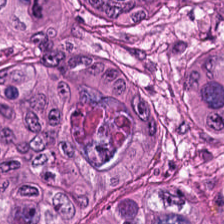Hematoxylin-and-eosin stained section — The tissue type is colorectal adenocarcinoma.
